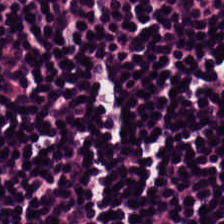Hematoxylin and eosin. Tissue class = lymphocytes.
